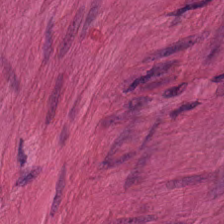FFPE · brightfield microscopy · H&E-stained tissue section.
Predominant tissue — smooth-muscle tissue.
